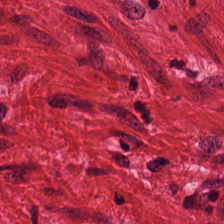H&E.
Predominant tissue — muscularis.
